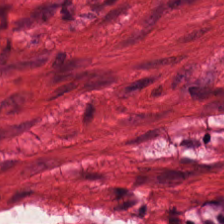Hematoxylin-and-eosin section: smooth muscle.
